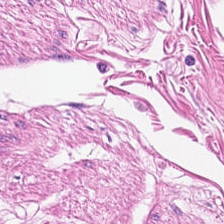Hematoxylin and eosin; FFPE tissue section; brightfield.
The classification is muscularis.
